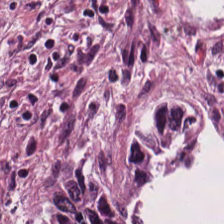The tissue here is malignant epithelium.
